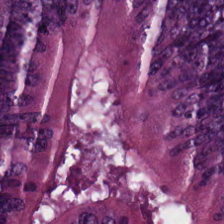Brightfield microscopy. Formalin-fixed paraffin-embedded section. H&E-stained tissue section — Q: What type of tissue is this?
A: This is colorectal adenocarcinoma.
